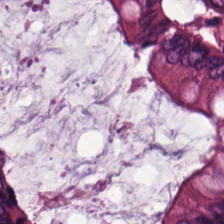Q: What is shown here?
A: It is normal colonic mucosa.
